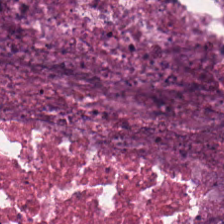Tissue class = cellular debris.
